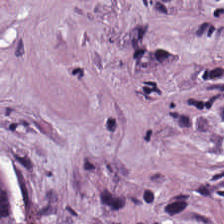H&E.
This patch shows desmoplastic stroma.
